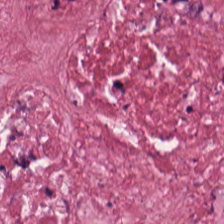H&E — Predominant tissue — tumor stroma.
